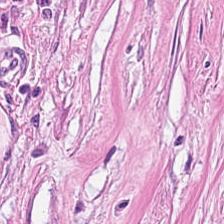Tissue = tumor-associated stroma.
